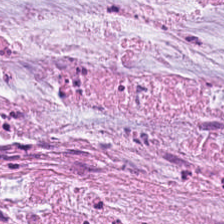H&E stain. 224×224 pixel tile. Mucin.
